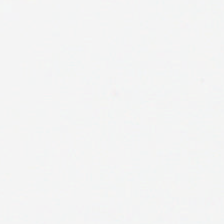H&E. Background — no tissue in this field.
